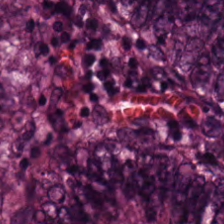Tissue class: colorectal adenocarcinoma epithelium.
